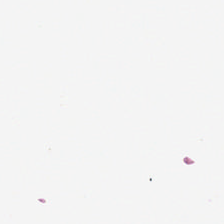0.5 µm per pixel; H&E; 224×224 pixel tile.
Histology → background.
